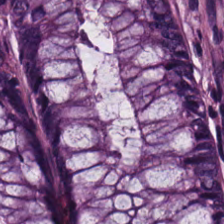H&E. The classification is benign colonic mucosa.
